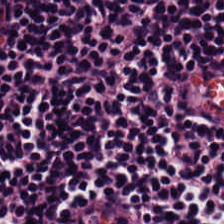Hematoxylin and eosin. This patch shows lymphocytic infiltrate.
